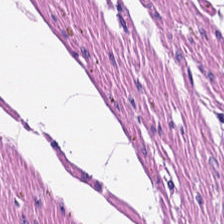H&E stain; 0.5 microns per pixel.
Predominant tissue = smooth-muscle tissue.
